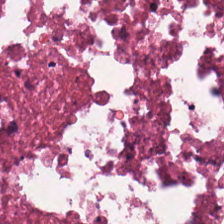H&E-stained tissue section.
Predominantly cellular debris.
